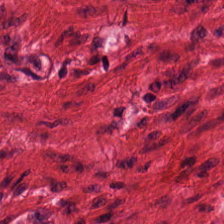H&E. Q: What is shown here?
A: The field shows smooth-muscle tissue.
